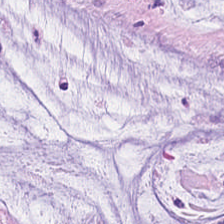Histology — mucin.
